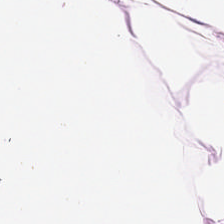Finding — fat tissue.
